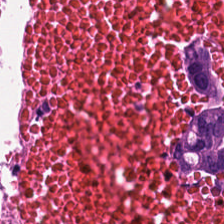H&E stain.
Predominantly necrotic debris.
